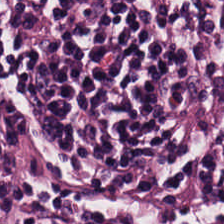This patch shows lymphoid infiltrate.
